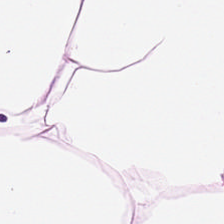Stain: hematoxylin and eosin.
Tissue type: adipocytes.
